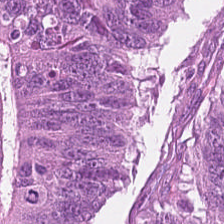WSI patch · H&E-stained tissue section.
{"tissue_type": "colorectal adenocarcinoma epithelium"}
